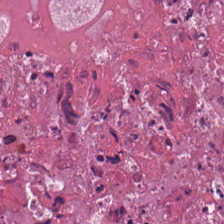WSI patch. H&E. This field is cellular debris.
